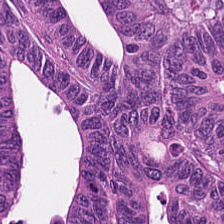Predominant tissue = colorectal adenocarcinoma.
